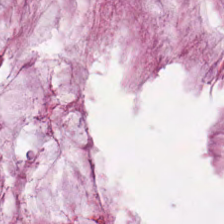The predominant tissue is mucus.
